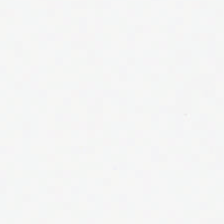Hematoxylin-and-eosin stained section; 224×224 px tile. Background — no tissue in this field.
